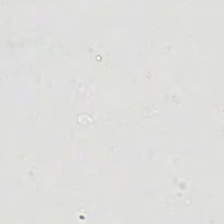Hematoxylin-and-eosin stained section. 224×224 pixel tile. WSI patch. This patch shows background (no tissue).
